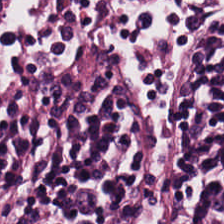Hematoxylin and eosin; FFPE — The predominant tissue is lymphocyte aggregate.
